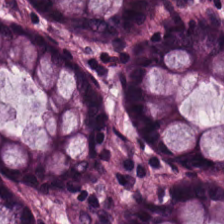H&E · 0.5 microns per pixel · 224×224 px tile. {"tissue_type": "non-neoplastic colon mucosa"}
